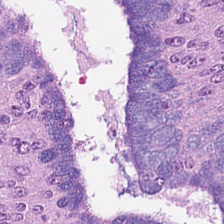H&E; 0.5 µm/px; formalin-fixed paraffin-embedded section. Predominant tissue: colorectal adenocarcinoma epithelium.
